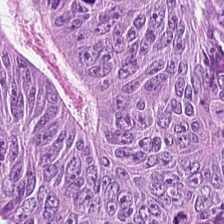Impression → malignant epithelium.
